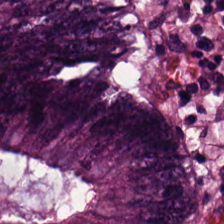FFPE tissue section; H&E-stained tissue section; 20× equivalent magnification.
The tissue here is colorectal adenocarcinoma epithelium.
